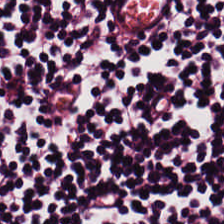H&E. FFPE — Q: What tissue type is shown here?
A: Lymphocytes.
